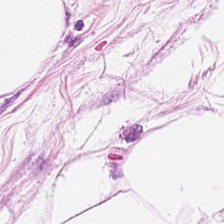H&E stain — The tissue is adipocytes.
